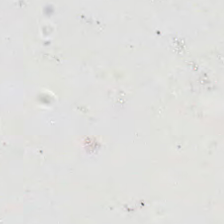Stain: hematoxylin and eosin.
Field content: background (no tissue).
